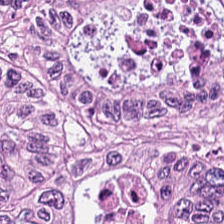The tissue here is tumor epithelium.
